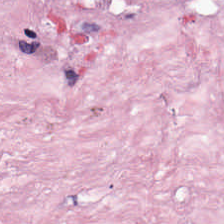224×224 pixel tile; hematoxylin and eosin. This patch shows desmoplastic stroma.
